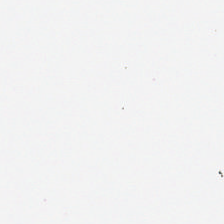Formalin-fixed paraffin-embedded section · H&E stain.
Classification = no tissue.
